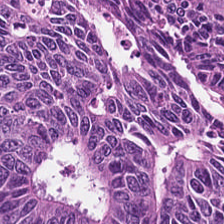Hematoxylin and eosin.
Q: What is shown in this field?
A: Colorectal adenocarcinoma epithelium.
